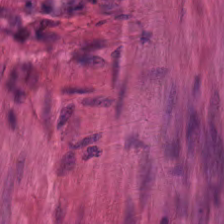Hematoxylin and eosin · 0.5 µm/px.
This patch shows muscularis.
